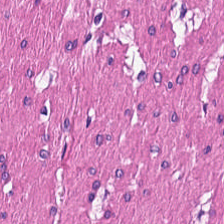Hematoxylin-and-eosin stained section. This field is smooth muscle.
